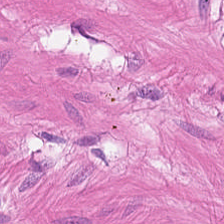Stain: H&E-stained tissue section.
Tissue type: muscularis.
